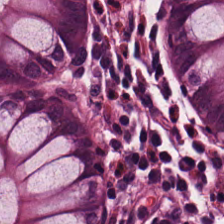H&E-stained tissue section. Normal colonic mucosa.
